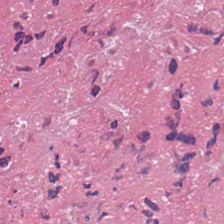Predominant tissue = necrotic debris.
